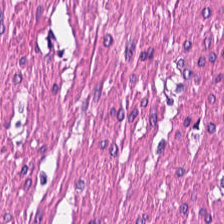224×224 pixel tile · hematoxylin and eosin · 0.5 µm per pixel. Predominantly smooth muscle.
